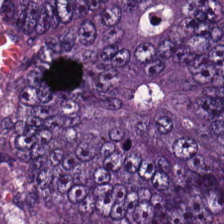Hematoxylin and eosin. 0.5 µm/px.
Predominantly malignant epithelium.
